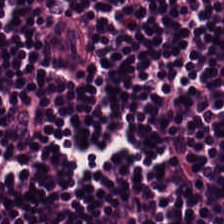224×224 pixel tile · hematoxylin-and-eosin stained section — Tissue type — lymphocytic infiltrate.
